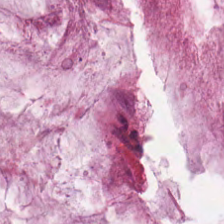{"tissue_type": "extracellular mucin"}
